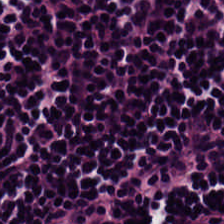Stain: H&E.
Classification: lymphocytic infiltrate.
